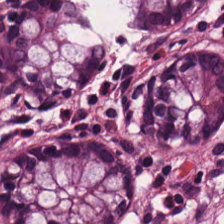H&E-stained tissue section — {"tissue_type": "normal colonic mucosa"}
